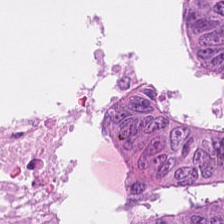Tissue type — adenocarcinoma.
